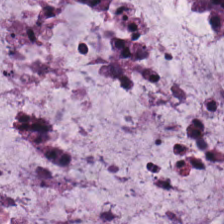WSI patch · 224×224 px tile · H&E — {"tissue_type": "mucin"}
